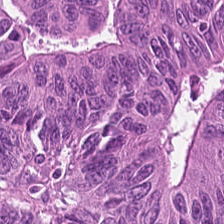Hematoxylin and eosin; 224×224 px tile.
Malignant epithelium.
